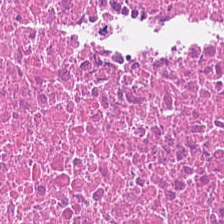H&E-stained tissue section — The tissue here is necrotic debris.
